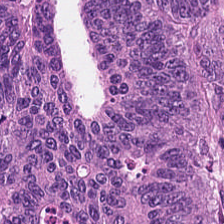FFPE tissue section · 224×224 px patch · H&E stain. Q: What is the predominant tissue type?
A: The field shows colorectal adenocarcinoma epithelium.
